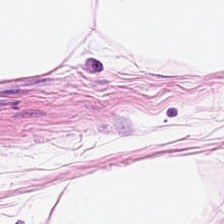The predominant tissue is adipocytes.
